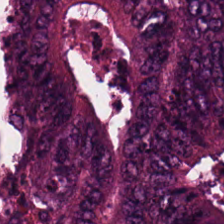Hematoxylin and eosin. Q: What tissue is shown?
A: It is colorectal adenocarcinoma.
